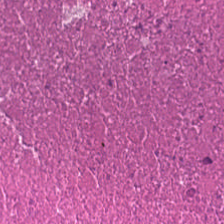H&E.
Q: What is shown here?
A: It is cellular debris.
